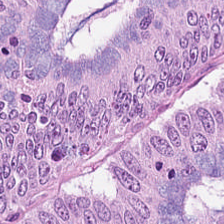H&E stain; 224×224 pixel tile; 0.5 µm per pixel.
Q: Identify the tissue.
A: The field shows malignant epithelium.
